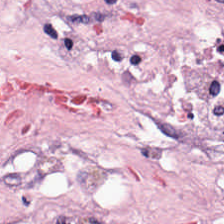FFPE tissue section · 224×224 px patch · hematoxylin-and-eosin stained section — Predominantly cancer-associated stroma.
